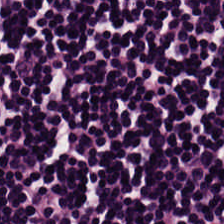Hematoxylin-and-eosin stained section.
This patch shows lymphocytic infiltrate.
